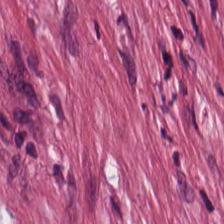Hematoxylin-and-eosin section: tumor-associated stroma.
